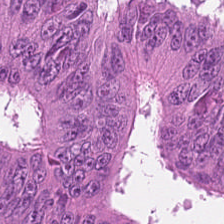H&E. Tissue type: colorectal adenocarcinoma epithelium.
